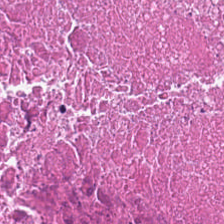H&E. {"tissue_type": "necrotic debris"}
